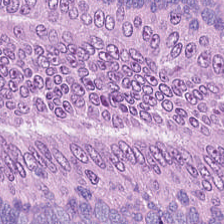Stain: hematoxylin and eosin.
Tile size: 224×224 px tile.
Tissue: colorectal adenocarcinoma epithelium.
